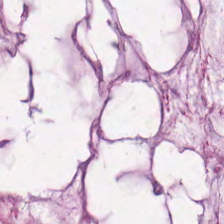Mucus.
